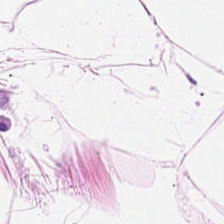Brightfield microscopy. Hematoxylin-and-eosin stained section. 224×224 pixel tile. Impression — adipose tissue.
